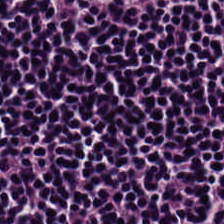Hematoxylin-and-eosin stained section; 20× equivalent magnification; FFPE — This patch shows lymphoid infiltrate.
